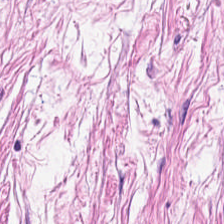H&E. Q: What is the predominant tissue type?
A: It is tumor stroma.
